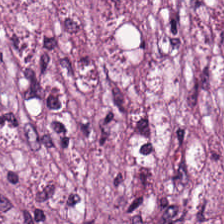Stain: H&E-stained tissue section.
Predominant tissue: cancer-associated stroma.
